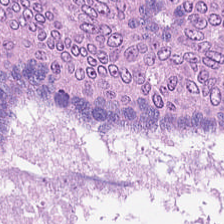224×224 px tile. H&E-stained tissue section.
Tissue type: colorectal adenocarcinoma.
